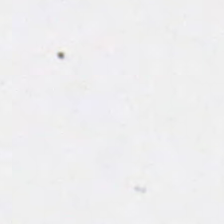0.5 µm/px; 224×224 pixel tile; hematoxylin-and-eosin stained section.
Q: What is shown here?
A: No tissue.
